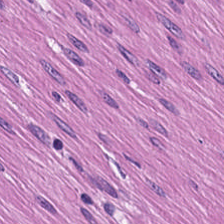Hematoxylin and eosin · 20× equivalent magnification — This field is muscularis.
